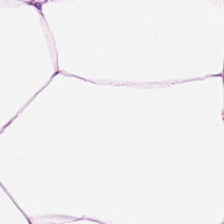Showing adipose.
